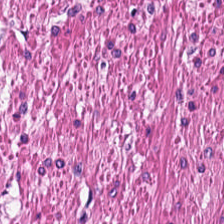Hematoxylin-and-eosin stained section; whole-slide-image patch; 0.5 µm/px. Histology → smooth muscle.
